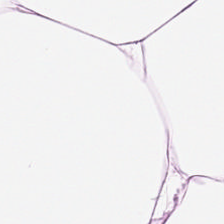H&E — The tissue is adipose.
